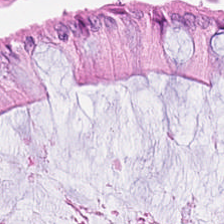Hematoxylin-and-eosin stained section. Q: What tissue type is shown here?
A: The field shows normal colon mucosa.
